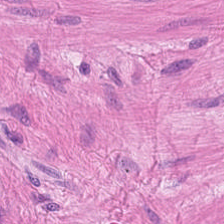224×224 px patch · hematoxylin and eosin. Q: What type of tissue is this?
A: This is muscularis.
